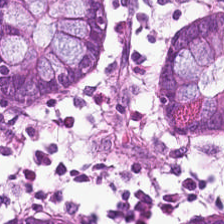Brightfield; H&E stain; 224×224 pixel tile.
This patch shows non-neoplastic colon mucosa.
